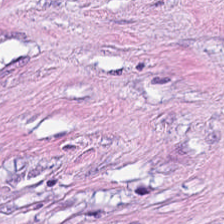The predominant tissue is cancer-associated stroma.
